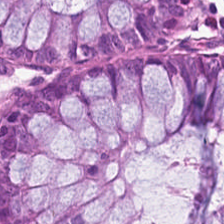Q: What is shown here?
A: This is benign colonic mucosa.
